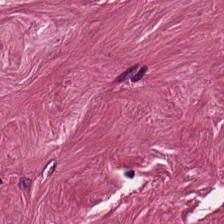Stain: H&E stain.
Preparation: formalin-fixed paraffin-embedded section.
Predominant tissue: tumor stroma.
